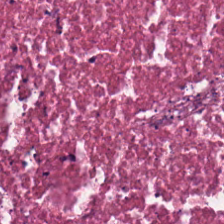Hematoxylin and eosin. Necrotic debris.
